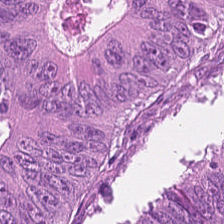H&E · FFPE tissue section.
The tissue class is adenocarcinoma.
